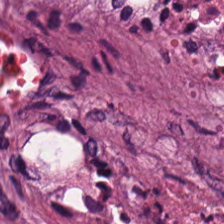H&E stain. Q: Classify this patch.
A: This is cellular debris.
